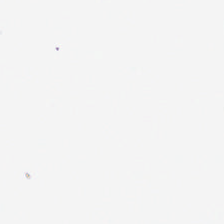0.5 µm/px · H&E stain.
Classification — no tissue.
